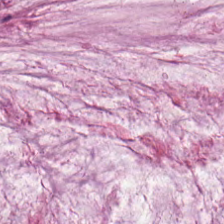Hematoxylin-and-eosin section: extracellular mucin.
